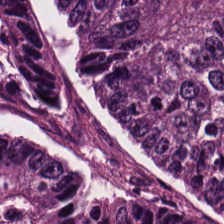H&E; FFPE tissue section — Showing colorectal adenocarcinoma.
